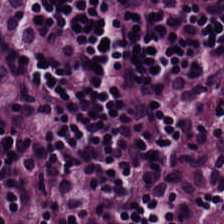H&E stain. 0.5 µm/px. 224×224 pixel tile. Tissue class = lymphocytes.
